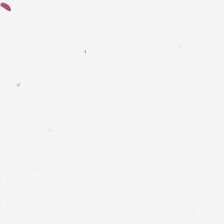Hematoxylin-and-eosin stained section. Q: What does this patch show?
A: The field shows no tissue.
